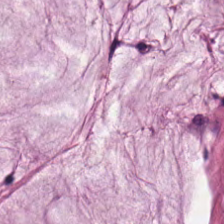Classification = mucus.
